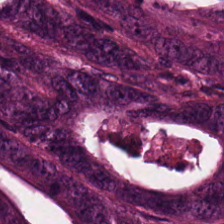H&E-stained tissue section. This field is tumor epithelium.
